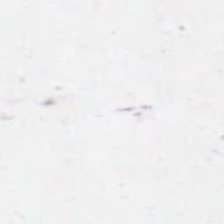Hematoxylin-and-eosin stained section. Finding — empty background.
